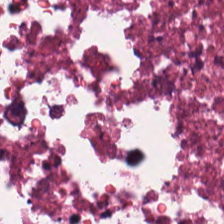H&E stain. This field is cellular debris.
